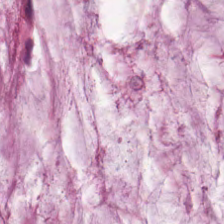FFPE tissue section · hematoxylin-and-eosin stained section.
Showing mucus.
